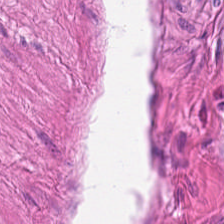WSI patch; H&E stain. Q: Classify this patch.
A: It is smooth muscle.
